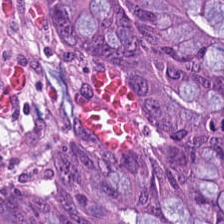Hematoxylin and eosin — The tissue is colorectal adenocarcinoma.
